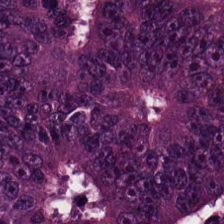Stain: H&E.
Tissue type: colorectal adenocarcinoma.
